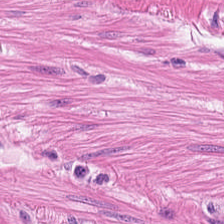Stain: hematoxylin and eosin.
Tissue type: smooth-muscle tissue.
